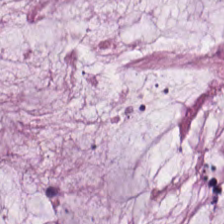224×224 pixel tile; H&E stain.
The predominant tissue is mucin.
